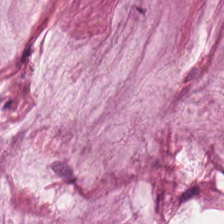20× equivalent magnification. H&E.
Showing mucus.
